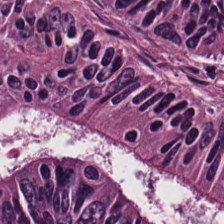0.5 µm per pixel · WSI patch · H&E-stained tissue section. This field is colorectal adenocarcinoma.
